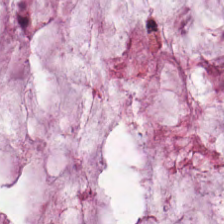The tissue here is mucus.
